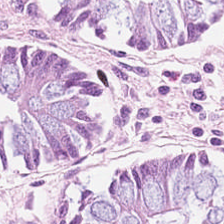224×224 px tile; 0.5 µm/px; H&E — Histology — normal colonic mucosa.
